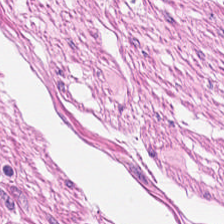H&E; whole-slide-image patch — Histology → muscularis.
